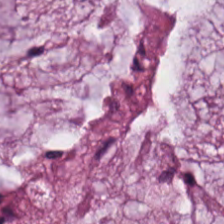Hematoxylin-and-eosin stained section. Q: Classify this patch.
A: This is extracellular mucin.
